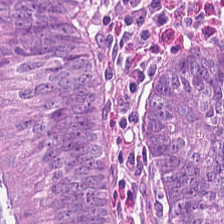H&E — Tissue class — malignant epithelium.
